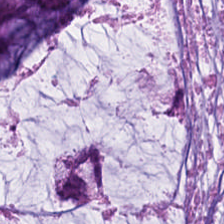Hematoxylin and eosin.
Showing mucin.
